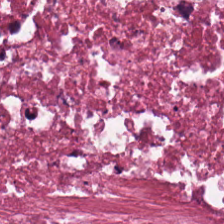Hematoxylin-and-eosin stained section — Showing debris.
